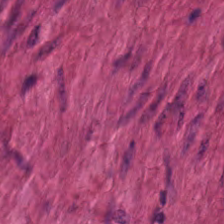H&E stain. Q: What tissue type is shown here?
A: It is smooth muscle.
